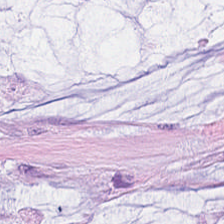{"tissue_type": "mucin"}
